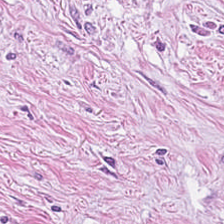H&E-stained tissue section. FFPE tissue section — Q: What tissue is shown?
A: This is desmoplastic stroma.
